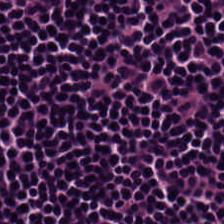Hematoxylin and eosin · brightfield — Predominant tissue = lymphocyte aggregate.
